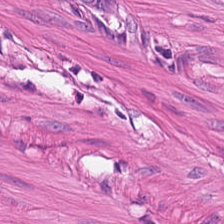Hematoxylin and eosin — Impression → smooth muscle.
